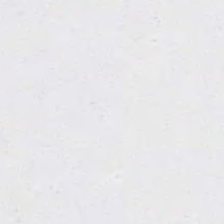WSI patch · H&E-stained tissue section · 224×224 px tile. {"content": "background (no tissue)"}
